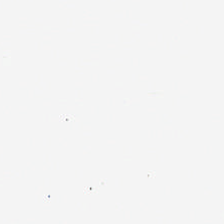This patch shows empty background.
